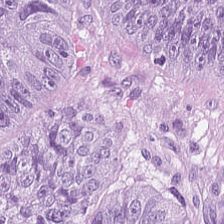H&E — colorectal adenocarcinoma epithelium.
